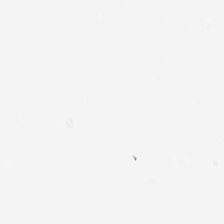H&E stain.
The field content is background (no tissue).
